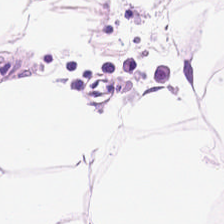H&E stain. 224×224 px tile. 20× equivalent magnification — This field is adipocytes.
